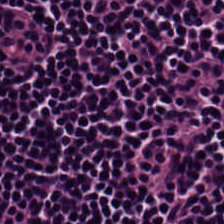H&E-stained tissue section.
Q: What does this patch show?
A: Lymphocytes.
